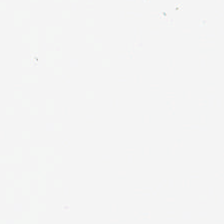H&E-stained tissue section. Impression → background.
